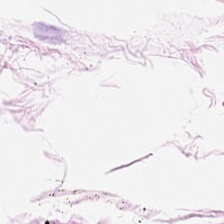Predominantly adipose tissue.
